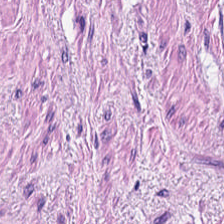Predominant tissue = smooth muscle.
